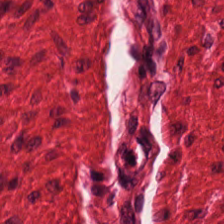H&E stain — Predominant tissue: smooth-muscle tissue.
